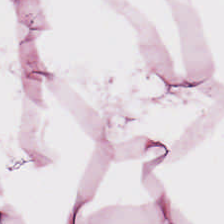0.5 µm per pixel. H&E-stained tissue section — The tissue class is adipose.
